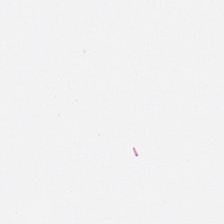224×224 pixel tile. 20× equivalent magnification. H&E stain. No tissue present; background only.
